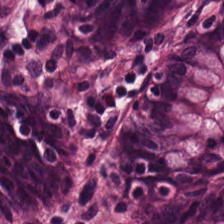Hematoxylin and eosin · whole-slide-image patch · 0.5 µm per pixel. Predominant tissue = benign colonic mucosa.
